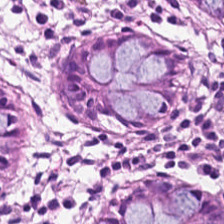0.5 microns per pixel; H&E-stained tissue section. The tissue here is normal colon mucosa.
